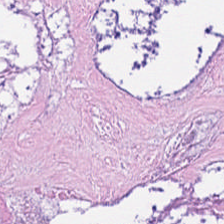H&E. The predominant tissue is necrotic debris.
